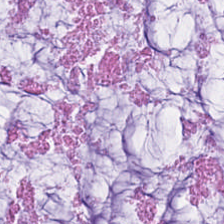Hematoxylin and eosin. {"tissue_type": "extracellular mucin"}
